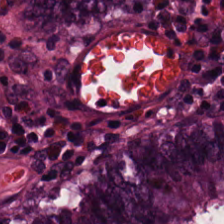H&E-stained tissue section; 224×224 px patch.
Showing normal colon mucosa.
